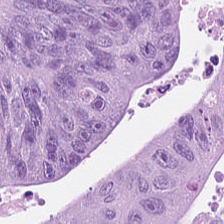H&E. Formalin-fixed paraffin-embedded section. WSI patch.
Tissue type = colorectal adenocarcinoma epithelium.
